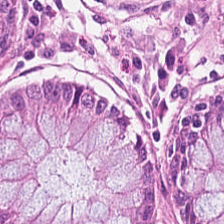H&E stain; brightfield.
Q: What is shown in this field?
A: It is normal colonic mucosa.
